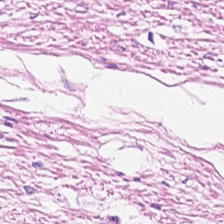Brightfield · H&E stain · 0.5 µm per pixel. Showing smooth muscle.
